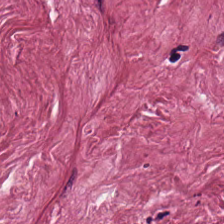Predominantly desmoplastic stroma.
